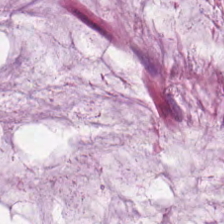Histology — mucus.
